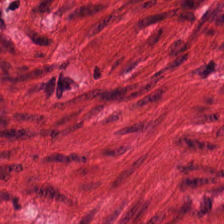Stain: hematoxylin and eosin.
Tissue: smooth-muscle tissue.
